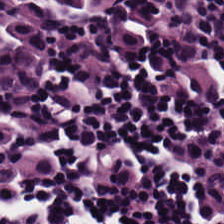H&E-stained tissue section.
The tissue is lymphocytes.
